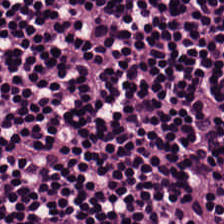FFPE; brightfield; H&E-stained tissue section. Predominant tissue — lymphocytic infiltrate.
